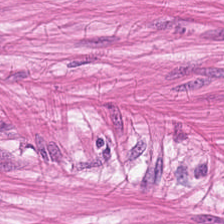H&E-stained tissue section; whole-slide-image patch. Q: What tissue is shown?
A: The field shows smooth muscle.
